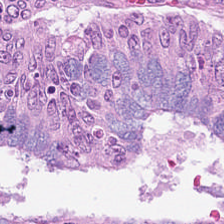Finding → colorectal adenocarcinoma.
